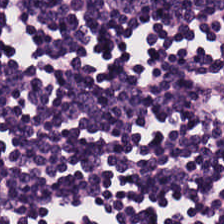Brightfield. H&E. The tissue is lymphoid infiltrate.
